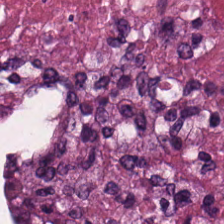This patch shows cellular debris.
